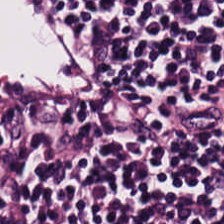Tissue — lymphoid infiltrate.
